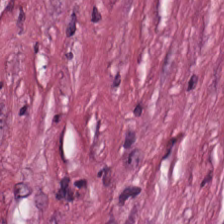224×224 pixel tile. Hematoxylin and eosin. WSI patch — This field is desmoplastic stroma.
